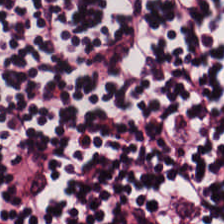Formalin-fixed paraffin-embedded section; H&E-stained tissue section.
Predominantly lymphoid infiltrate.
